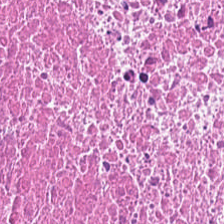224×224 px patch; whole-slide-image patch; hematoxylin and eosin.
The tissue class is cellular debris.
